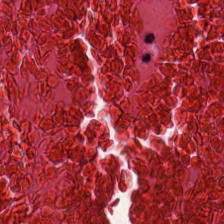H&E-stained tissue section · whole-slide-image patch.
The tissue here is debris.
